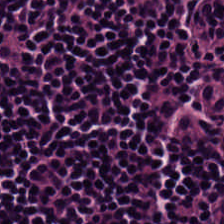The predominant tissue is lymphocytes.
